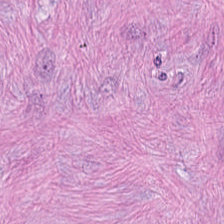FFPE; hematoxylin and eosin — Q: Classify this patch.
A: The field shows cancer-associated stroma.
